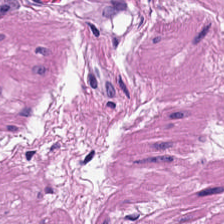H&E-stained tissue section — Showing smooth-muscle tissue.
